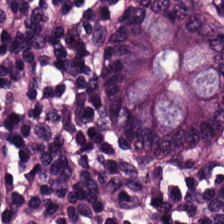Showing benign colonic mucosa.
